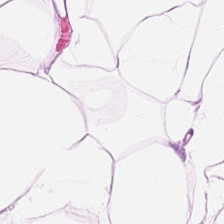Hematoxylin-and-eosin stained section. FFPE tissue section. 20× equivalent magnification.
Adipose tissue.
